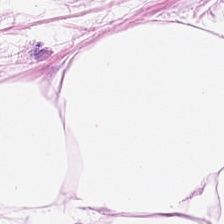H&E — Impression — adipose tissue.
